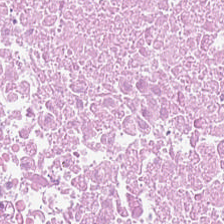H&E stain — {"tissue_type": "necrotic debris"}
